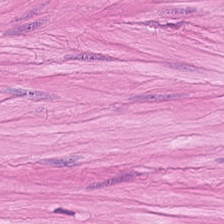Hematoxylin and eosin. Histology — muscularis.
